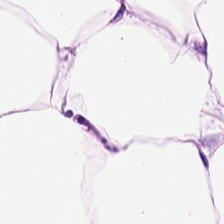FFPE tissue section. Hematoxylin-and-eosin stained section. Q: What is shown here?
A: Fat tissue.
